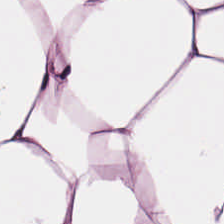Hematoxylin and eosin — Histology → adipose.
